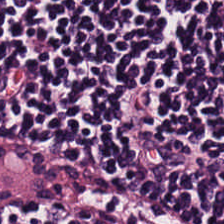H&E stain — Histology → lymphoid infiltrate.
